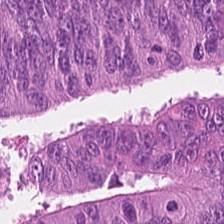H&E stain.
Finding — colorectal adenocarcinoma.
